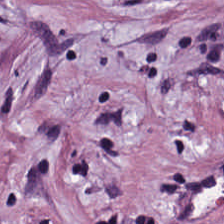Hematoxylin-and-eosin stained section.
Showing cancer-associated stroma.
